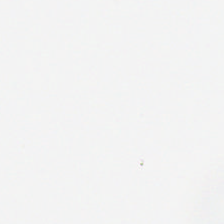Impression — empty background.
